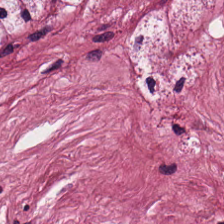Hematoxylin-and-eosin stained section — {"tissue_type": "cancer-associated stroma"}
